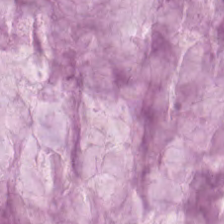Hematoxylin and eosin. 0.5 microns per pixel.
This field is extracellular mucin.
